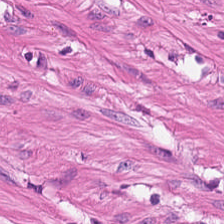H&E-stained tissue section. 224×224 px patch. Predominantly smooth muscle.
